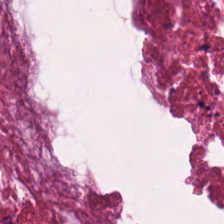H&E stain · 224×224 px patch. Showing debris.
